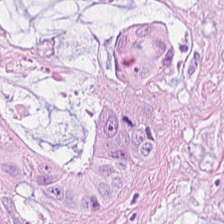H&E-stained tissue section. Q: What does this patch show?
A: It is colorectal adenocarcinoma.
